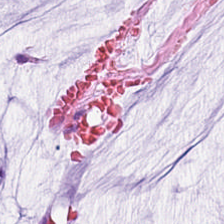Brightfield. H&E-stained tissue section — Predominant tissue = extracellular mucin.
